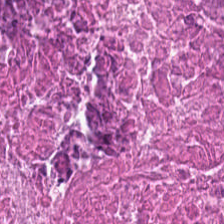Finding → cellular debris.
